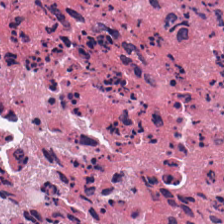WSI patch · formalin-fixed paraffin-embedded section · hematoxylin-and-eosin stained section. Tissue type = debris.
